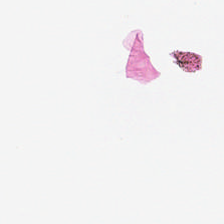H&E stain.
Background.
